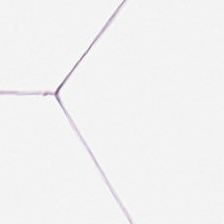Impression → adipose.
